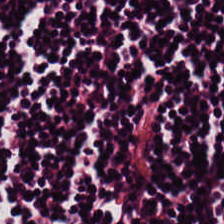Brightfield microscopy; 0.5 microns per pixel; H&E stain.
Q: Classify this patch.
A: It is lymphoid infiltrate.
